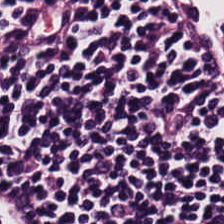FFPE tissue section · 0.5 microns per pixel · H&E-stained tissue section.
Tissue class — lymphocyte aggregate.
